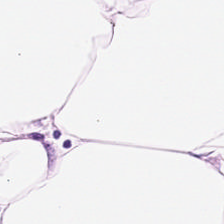Hematoxylin-and-eosin stained section. Tissue class = adipocytes.
